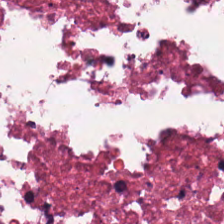Hematoxylin-and-eosin stained section · 224×224 px patch — Showing debris.
